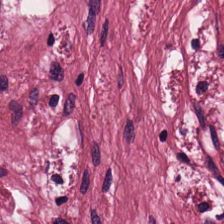0.5 µm per pixel; WSI patch; H&E-stained tissue section. Tissue: tumor-associated stroma.
